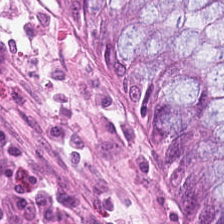H&E stain. Tissue class — non-neoplastic colon mucosa.
